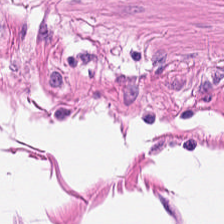224×224 pixel tile · hematoxylin and eosin — Q: What tissue is shown?
A: This is smooth-muscle tissue.
